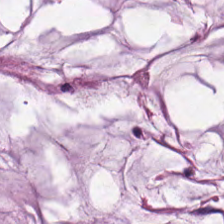H&E-stained tissue section · 224×224 pixel tile · FFPE tissue section.
This patch shows mucus.
